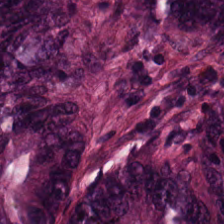H&E; 20× equivalent magnification — Showing malignant epithelium.
